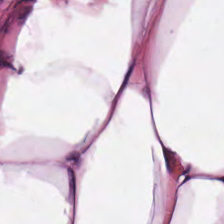H&E-stained tissue section. Predominant tissue = adipocytes.
